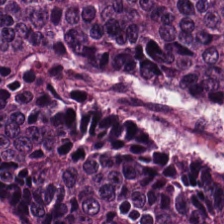224×224 px patch · FFPE tissue section · H&E. This patch shows tumor epithelium.
